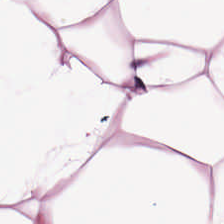H&E — Q: What does this patch show?
A: This is fat tissue.
